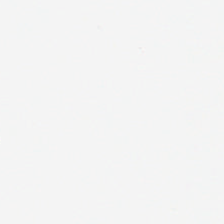H&E — Empty background.
